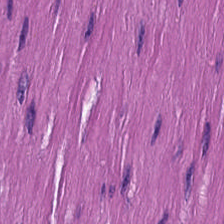Hematoxylin-and-eosin stained section.
Q: What tissue type is shown here?
A: Smooth-muscle tissue.
